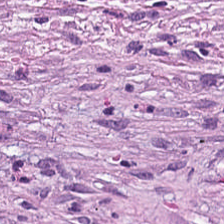H&E. Tissue type — desmoplastic stroma.
